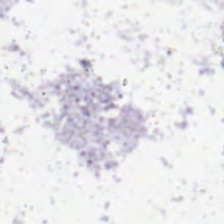Hematoxylin and eosin.
This patch shows background (no tissue).
